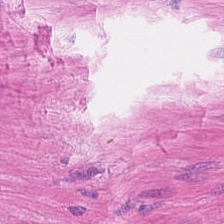Hematoxylin and eosin; FFPE — {"tissue_type": "smooth muscle"}
